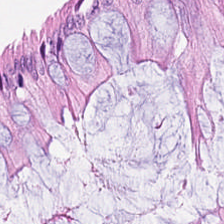Stain: H&E.
Acquisition: brightfield microscopy.
Resolution: 0.5 microns per pixel.
Tissue class: normal colonic mucosa.
